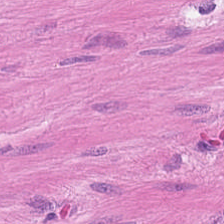H&E stain — Histology → smooth-muscle tissue.
